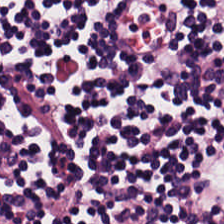224×224 px patch · H&E.
This patch shows lymphocytes.
